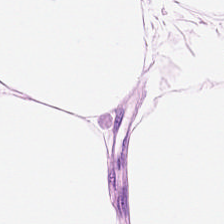Brightfield; hematoxylin and eosin.
Classification: fat tissue.
